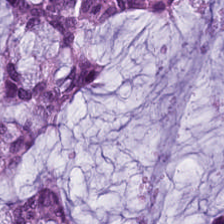Stain: hematoxylin-and-eosin stained section.
Predominant tissue: mucin.
